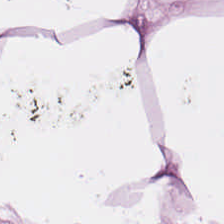0.5 µm per pixel; H&E-stained tissue section.
Showing fat tissue.
